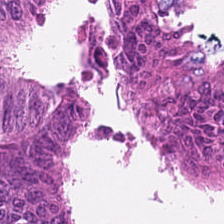H&E-stained tissue section.
The predominant tissue is colorectal adenocarcinoma epithelium.
